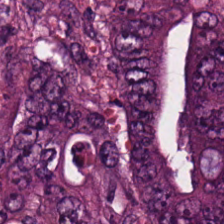0.5 µm/px. H&E stain. 224×224 px tile. Predominant tissue — adenocarcinoma.
